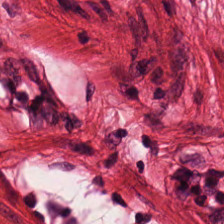H&E stain · FFPE · 0.5 µm per pixel.
The predominant tissue is smooth muscle.
